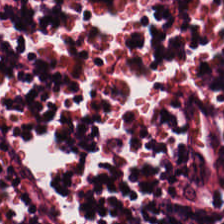Stain: hematoxylin-and-eosin stained section.
Tissue class: lymphocytic infiltrate.
